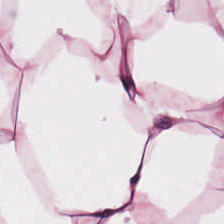H&E-stained section; the field shows adipocytes.
